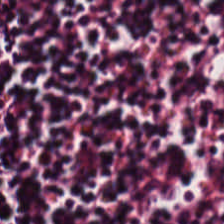20× equivalent magnification; hematoxylin and eosin.
Histology → lymphoid infiltrate.
